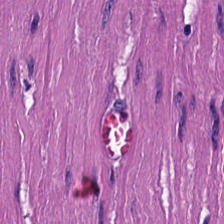H&E.
Predominant tissue — smooth muscle.
